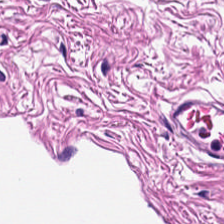Stain: H&E-stained tissue section.
Preparation: FFPE.
Acquisition: WSI patch.
Predominant tissue: muscularis.
